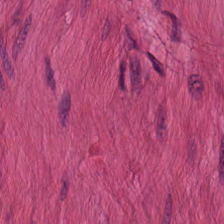Predominant tissue — muscularis.
